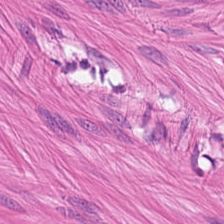Muscularis.
